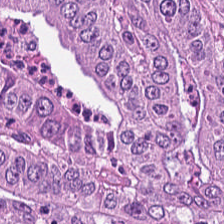Hematoxylin-and-eosin stained section · 20× equivalent magnification · FFPE — Tissue — tumor epithelium.
